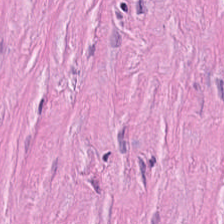224×224 px patch; hematoxylin-and-eosin stained section; 0.5 microns per pixel — Impression — cancer-associated stroma.
